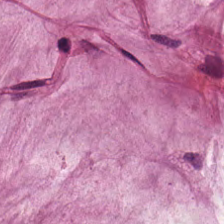Hematoxylin and eosin. FFPE.
The tissue here is mucin.
